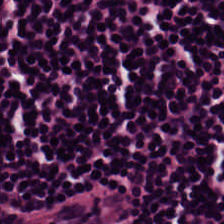Hematoxylin-and-eosin stained section. FFPE tissue section.
Q: What tissue is shown?
A: The field shows lymphoid infiltrate.
